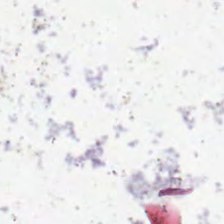H&E stain. 224×224 px patch.
This field is background (no tissue).
